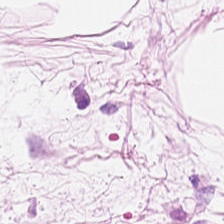H&E. The classification is fat tissue.
